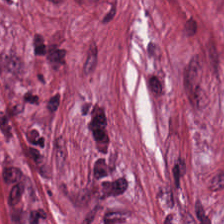H&E — Q: What tissue type is shown here?
A: The field shows cancer-associated stroma.
